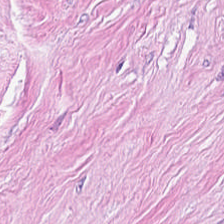Hematoxylin and eosin.
Showing tumor-associated stroma.
